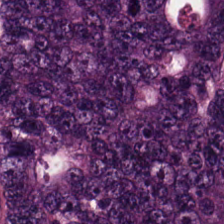Stain: H&E stain.
Tissue class: colorectal adenocarcinoma epithelium.
